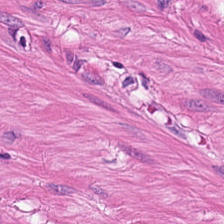Hematoxylin-and-eosin stained section.
Finding → smooth muscle.
